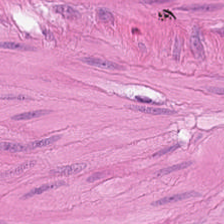Formalin-fixed paraffin-embedded section. H&E. 20× equivalent magnification.
Tissue class = muscularis.
